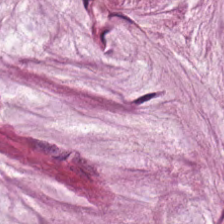Mucus.
